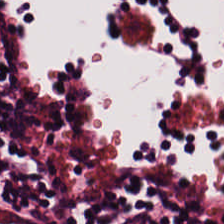Impression → lymphocytes.
